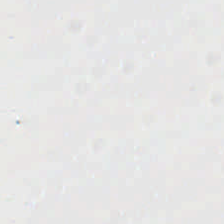No tissue present; background only.
